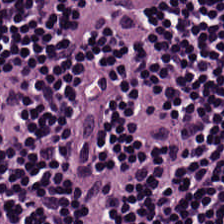H&E; 0.5 µm/px.
Tissue class = lymphocytes.
